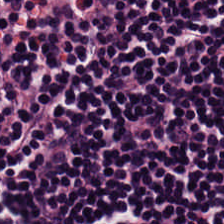Finding → lymphocytic infiltrate.
